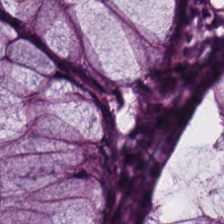Hematoxylin and eosin.
This patch shows normal colon mucosa.
